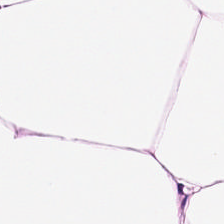H&E stain. FFPE. 0.5 microns per pixel. Tissue — adipose.
